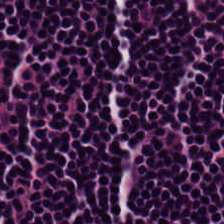Finding → lymphocyte aggregate.
